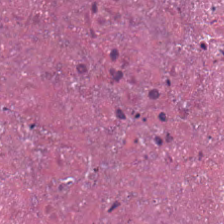FFPE tissue section · hematoxylin and eosin.
Q: What does this patch show?
A: The field shows necrotic debris.
